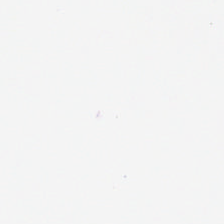H&E. This patch shows no tissue.
